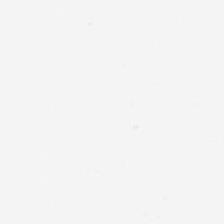224×224 px tile; hematoxylin-and-eosin stained section; WSI patch — Classification = no tissue.
